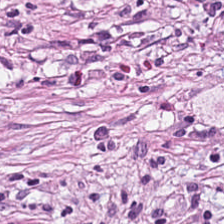Hematoxylin and eosin. 20× equivalent magnification.
Tumor-associated stroma.
